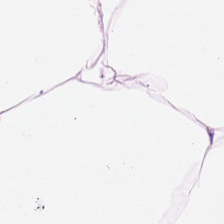H&E-stained tissue section — Predominant tissue — adipose.
